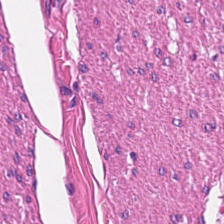Hematoxylin-and-eosin stained section. This patch shows muscularis.
